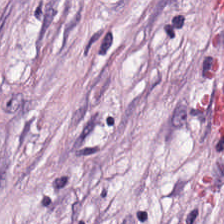20× equivalent magnification. FFPE. H&E-stained tissue section. {"tissue_type": "tumor-associated stroma"}
